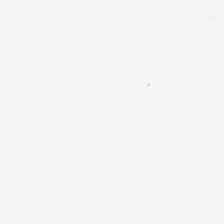0.5 µm/px · H&E stain — No tissue.
